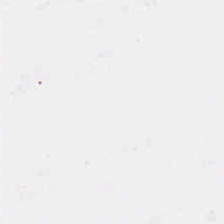Field content = empty background.
